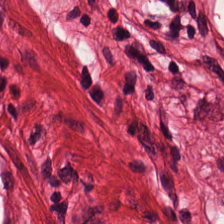Hematoxylin and eosin.
Predominantly smooth-muscle tissue.
